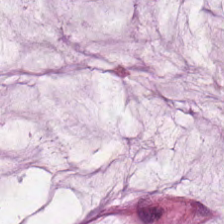0.5 µm/px. H&E stain.
Tissue class: extracellular mucin.
